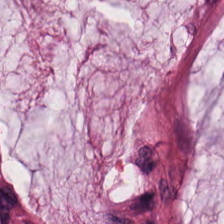The tissue is mucus.
